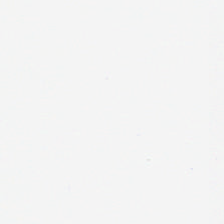Content: background (no tissue).
